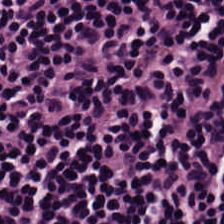Hematoxylin-and-eosin stained section.
Finding — lymphocyte aggregate.
